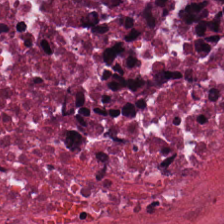224×224 pixel tile; formalin-fixed paraffin-embedded section; H&E-stained tissue section.
This patch shows cellular debris.
